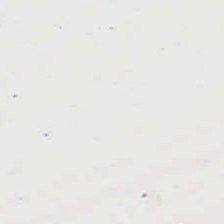WSI patch · 20× equivalent magnification · H&E stain. Q: What is shown in this field?
A: This is no tissue.
